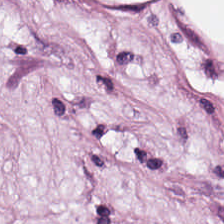Hematoxylin and eosin.
Classification: adipocytes.
